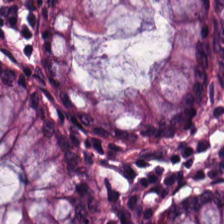Showing normal colon mucosa.
